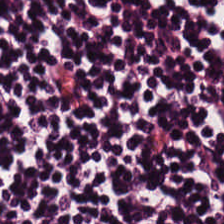H&E — Classification = lymphocytic infiltrate.
